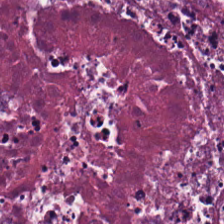Hematoxylin-and-eosin stained section.
This field is necrotic debris.
